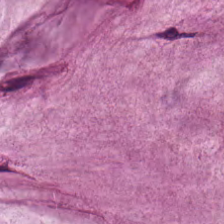224×224 pixel tile · 0.5 µm/px · H&E-stained tissue section.
Q: Identify the tissue.
A: Mucus.
